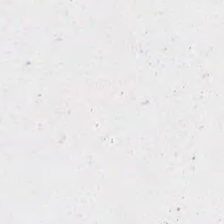Classification — no tissue.
